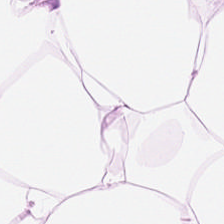This patch shows adipocytes.
